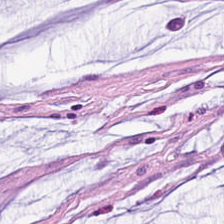H&E — Mucus.
